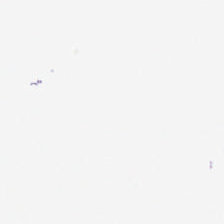{"content": "empty background"}
